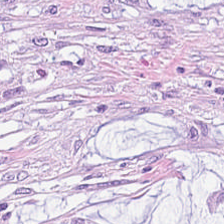H&E. Tissue — mucus.
